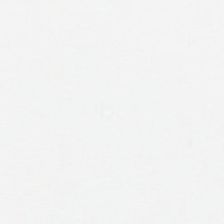Hematoxylin and eosin · 20× equivalent magnification — This patch shows background.
